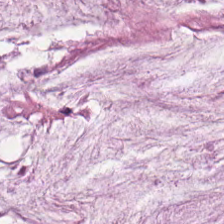224×224 px patch · brightfield · H&E.
Classification — mucus.
